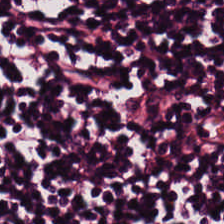Hematoxylin and eosin. Tissue class = lymphoid infiltrate.
